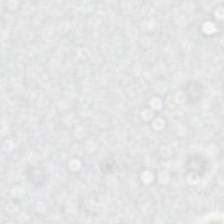Hematoxylin and eosin — This field is background (no tissue).
